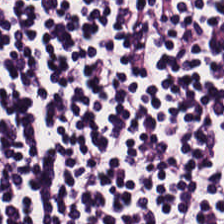H&E-stained tissue section; whole-slide-image patch — Q: What type of tissue is this?
A: This is lymphocytes.
